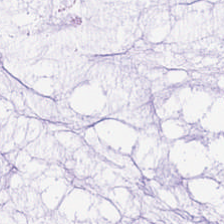Hematoxylin and eosin; brightfield. The tissue here is extracellular mucin.
